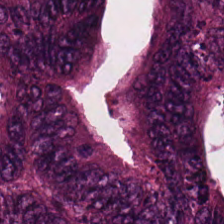H&E-stained tissue section showing malignant epithelium.
